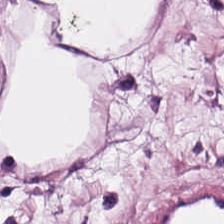Whole-slide-image patch; FFPE; H&E-stained tissue section — Tissue class — adipose.
